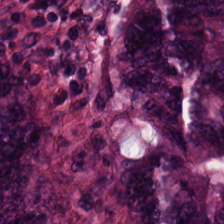0.5 µm/px. H&E — Tissue type = tumor epithelium.
